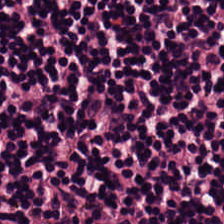Showing lymphocytic infiltrate.
